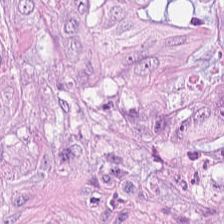Stain: hematoxylin and eosin.
Tile size: 224×224 pixel tile.
Tissue type: colorectal adenocarcinoma.
